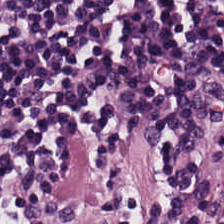Predominant tissue: lymphocytic infiltrate.
